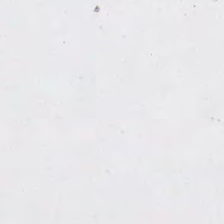Background — no tissue in this field.
